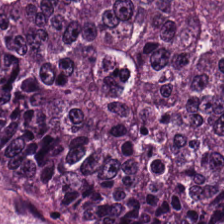FFPE tissue section; 224×224 px patch; hematoxylin-and-eosin stained section.
Classification — colorectal adenocarcinoma.
